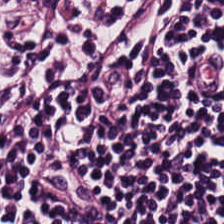Brightfield microscopy; 224×224 px tile; H&E — Q: Classify this patch.
A: The field shows lymphocyte aggregate.
